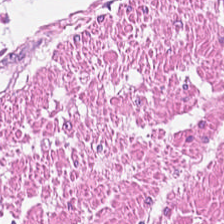H&E stain — This field is smooth muscle.
